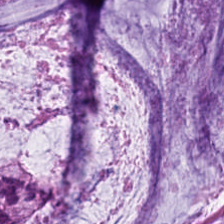H&E · formalin-fixed paraffin-embedded section.
Tissue class — extracellular mucin.
